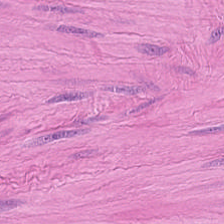Stain: hematoxylin and eosin.
Tissue type: smooth-muscle tissue.
